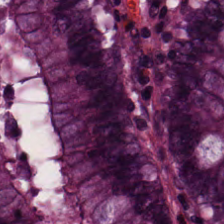Brightfield · hematoxylin-and-eosin stained section. Showing normal colon mucosa.
